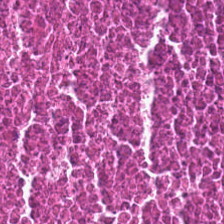Formalin-fixed paraffin-embedded section; hematoxylin-and-eosin stained section. Tissue type = necrotic debris.
